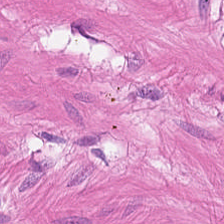224×224 px tile · H&E · brightfield microscopy — Predominant tissue = muscularis.
